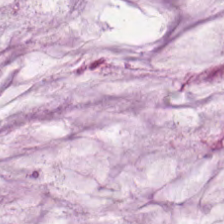H&E stain — Q: What does this patch show?
A: Mucus.
